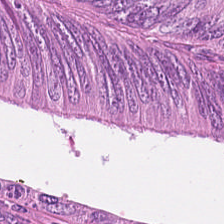Hematoxylin and eosin · 0.5 µm/px · FFPE — Q: What is the predominant tissue type?
A: Colorectal adenocarcinoma.
